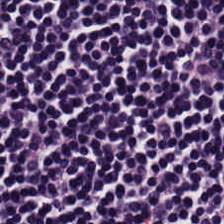Stain: hematoxylin-and-eosin stained section.
Acquisition: brightfield.
Tissue class: lymphocytes.
